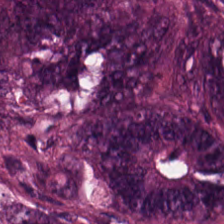H&E patch showing colorectal adenocarcinoma.
